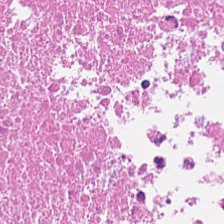FFPE. Hematoxylin-and-eosin stained section. This patch shows necrotic debris.
